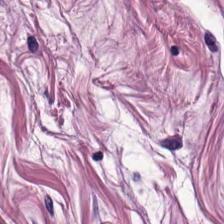224×224 pixel tile · H&E-stained tissue section. Smooth muscle.
